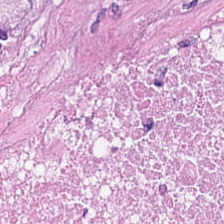Predominant tissue: cellular debris.
